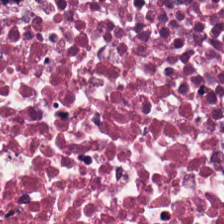H&E · 224×224 px patch — The tissue here is cellular debris.
